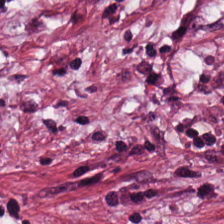H&E-stained tissue section. The tissue here is cancer-associated stroma.
